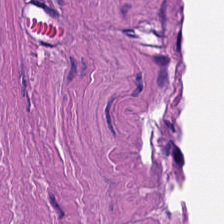H&E — The predominant tissue is smooth muscle.
